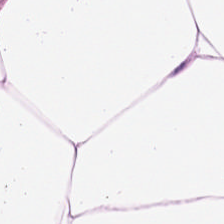Stain: hematoxylin-and-eosin stained section.
Acquisition: whole-slide-image patch.
Preparation: formalin-fixed paraffin-embedded section.
Tissue type: adipose.
